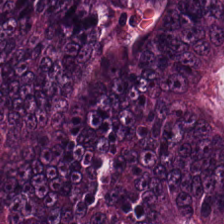H&E. The tissue type is colorectal adenocarcinoma epithelium.
